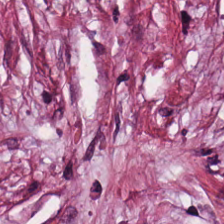Brightfield microscopy; hematoxylin and eosin. This field is cancer-associated stroma.
